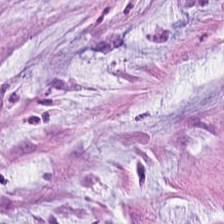H&E. Histology → extracellular mucin.
